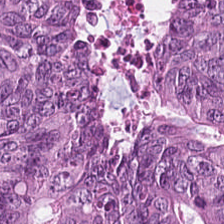0.5 µm/px; H&E stain; WSI patch — Tissue type = tumor epithelium.
